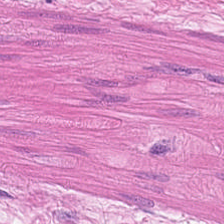Hematoxylin and eosin.
Q: What does this patch show?
A: The field shows smooth muscle.
